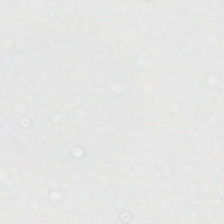Brightfield microscopy; 224×224 pixel tile; hematoxylin-and-eosin stained section — Q: What does this patch show?
A: The field shows no tissue.
